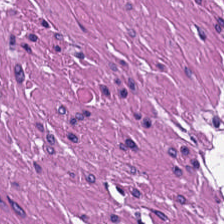FFPE; hematoxylin-and-eosin stained section.
This patch shows muscularis.
